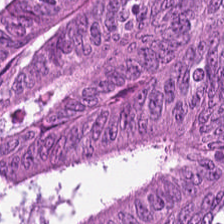H&E.
This field is malignant epithelium.
